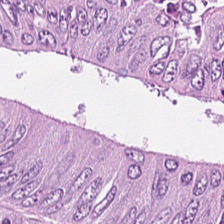WSI patch. Hematoxylin-and-eosin stained section — Predominant tissue: malignant epithelium.
